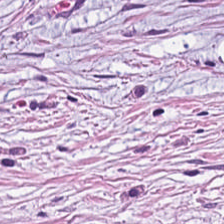Hematoxylin and eosin. 224×224 pixel tile. Brightfield microscopy. The tissue here is tumor-associated stroma.
